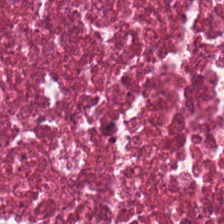Stain: H&E stain.
Predominant tissue: debris.
